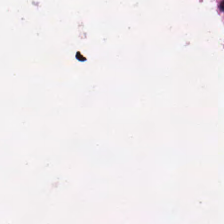H&E stain — The predominant tissue is debris.
